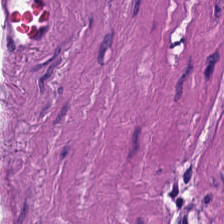Hematoxylin and eosin.
Predominantly smooth muscle.
